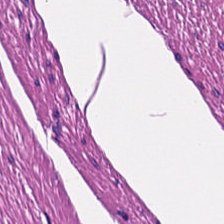H&E stain; 224×224 px tile. Impression → smooth muscle.
